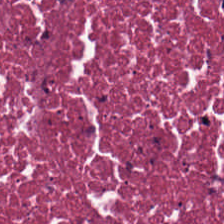Tissue class = cellular debris.
